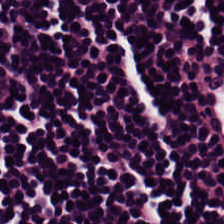H&E — Finding → lymphoid infiltrate.
